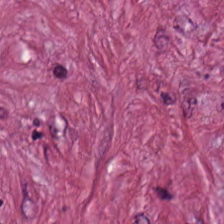Hematoxylin and eosin. Brightfield microscopy. 20× equivalent magnification.
The predominant tissue is tumor stroma.
